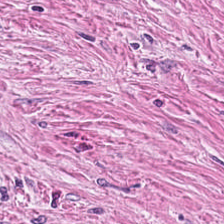H&E-stained tissue section. Tissue: tumor-associated stroma.
